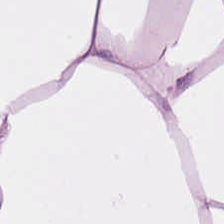FFPE tissue section; H&E stain — Impression → adipocytes.
